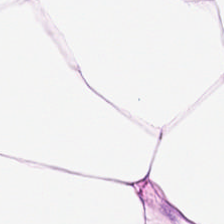H&E stain. Predominantly adipose tissue.
